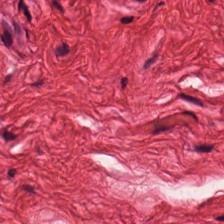Stain: H&E stain.
Resolution: 20× equivalent magnification.
Tissue type: smooth muscle.
